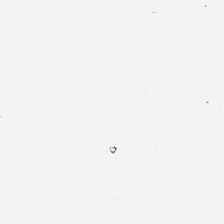Hematoxylin and eosin. This field is background (no tissue).
